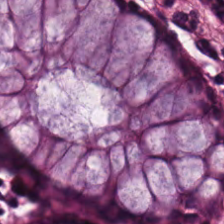FFPE tissue section. Hematoxylin-and-eosin stained section.
Tissue — benign colonic mucosa.
